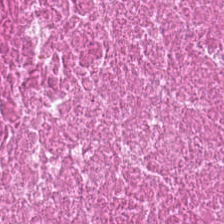Tissue type = necrotic debris.
